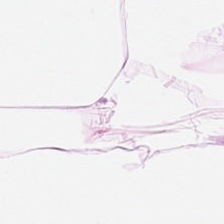Hematoxylin-and-eosin stained section. Tissue class: adipose.
